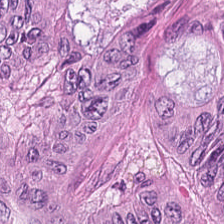Hematoxylin and eosin.
Tissue type — malignant epithelium.
